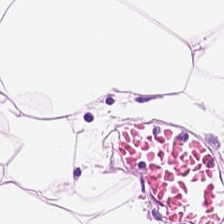Hematoxylin-and-eosin stained section. 224×224 pixel tile. {"tissue_type": "adipose"}
